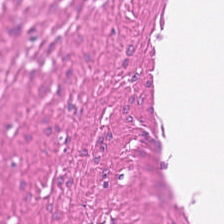H&E · WSI patch.
Tissue class = muscularis.
